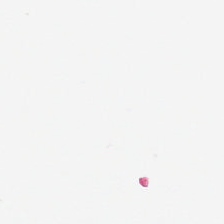Hematoxylin and eosin.
Classification = empty background.
